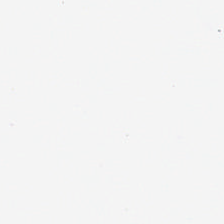H&E-stained tissue section. {"content": "no tissue"}
